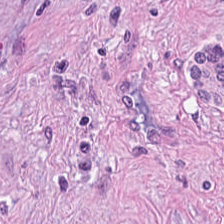This patch shows tumor stroma.
